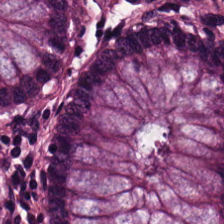Formalin-fixed paraffin-embedded section · H&E-stained tissue section.
The tissue here is benign colonic mucosa.
